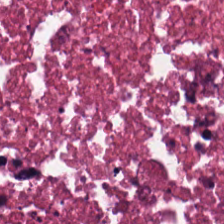Hematoxylin-and-eosin stained section — Q: What does this patch show?
A: It is debris.
